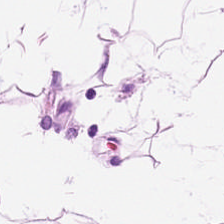Hematoxylin and eosin. {"tissue_type": "adipose"}
